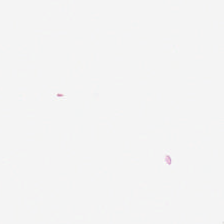Finding — background (no tissue).
